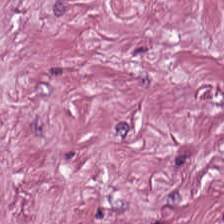Hematoxylin and eosin.
Histology — desmoplastic stroma.
